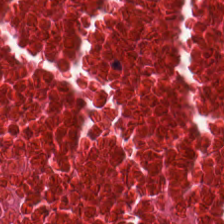Predominantly cellular debris.
